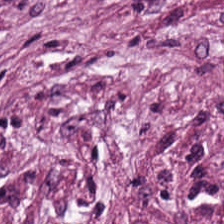Hematoxylin-and-eosin stained section; brightfield microscopy; 224×224 px tile.
Q: What is shown here?
A: The field shows tumor stroma.
